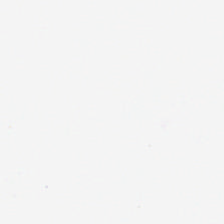Stain: hematoxylin-and-eosin stained section.
Field content: empty background.
